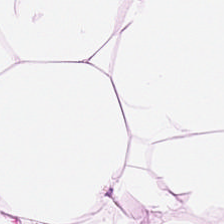Hematoxylin-and-eosin stained section — Q: What does this patch show?
A: Adipose.
